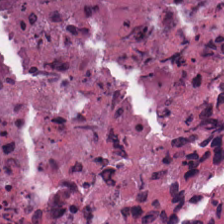Tissue type — cellular debris.
